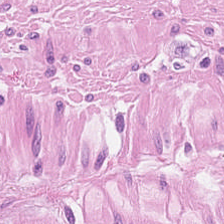Q: Classify this patch.
A: The field shows smooth muscle.
